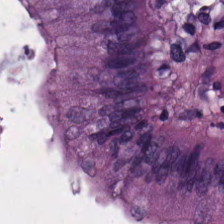This patch shows normal colonic mucosa.
